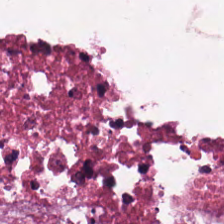Stain: H&E stain.
Preparation: FFPE tissue section.
Classification: necrotic debris.
